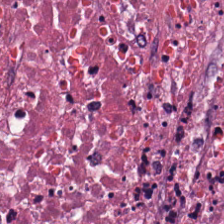Brightfield microscopy; H&E-stained tissue section; 224×224 px tile.
Showing debris.
